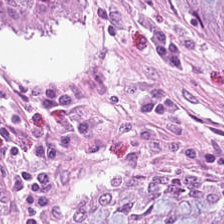H&E-stained tissue section.
Classification: normal colonic mucosa.
